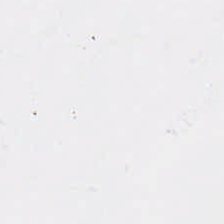224×224 px patch · hematoxylin-and-eosin stained section.
Impression — empty background.
